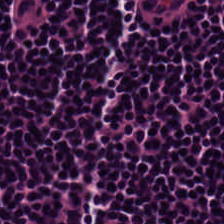H&E — lymphocyte aggregate.
